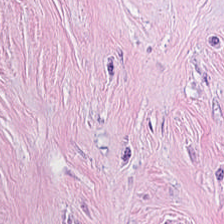H&E-stained tissue section. Tissue: tumor stroma.
